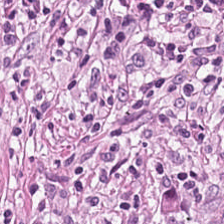Hematoxylin and eosin.
This field is tumor stroma.
